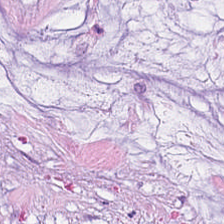Finding → mucus.
